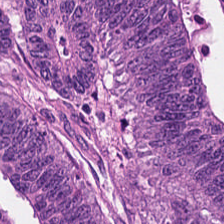FFPE tissue section · H&E stain.
Finding → colorectal adenocarcinoma epithelium.
